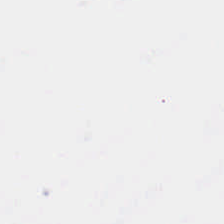H&E stain.
{"content": "no tissue"}
